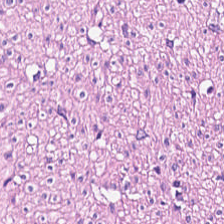224×224 pixel tile; H&E-stained tissue section.
Q: Classify this patch.
A: The field shows smooth-muscle tissue.
